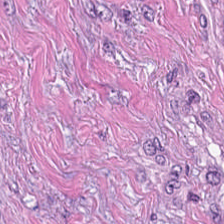H&E. 0.5 µm/px — Impression — desmoplastic stroma.
